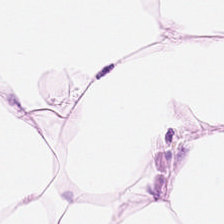Stain: H&E-stained tissue section.
Tissue: adipose.
